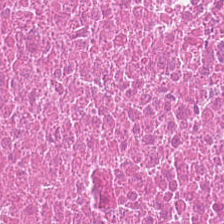H&E-stained tissue section — This field is cellular debris.
